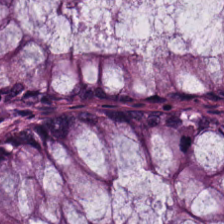H&E stain — Showing normal colonic mucosa.
